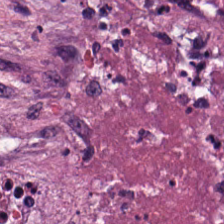H&E-stained tissue section. Classification: cellular debris.
